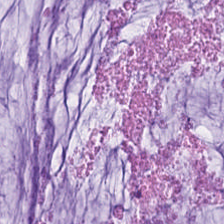Hematoxylin and eosin — Q: What is shown in this field?
A: The field shows mucus.
